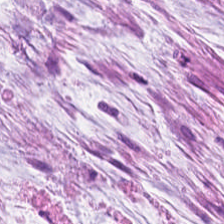Tissue type — mucin.
